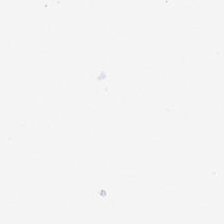H&E.
Q: What is shown here?
A: This is background.
